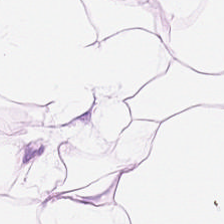Brightfield microscopy; H&E; 224×224 px tile.
Impression → adipose.
